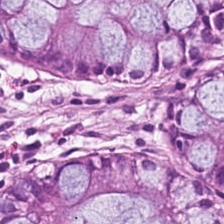Hematoxylin and eosin. The predominant tissue is normal colonic mucosa.
